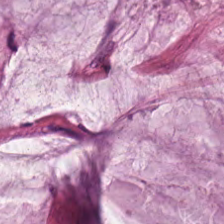H&E — The tissue is extracellular mucin.
